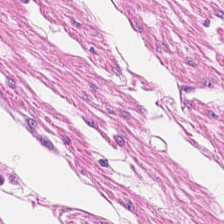Predominant tissue = smooth muscle.
